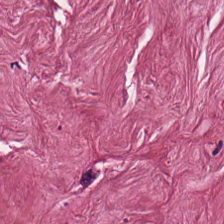H&E. FFPE. WSI patch — Predominantly desmoplastic stroma.
